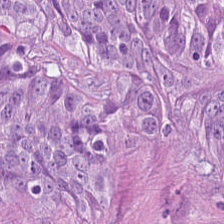0.5 microns per pixel. Whole-slide-image patch. Hematoxylin-and-eosin stained section — This field is tumor epithelium.
